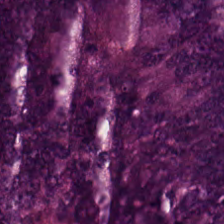H&E-stained tissue section; FFPE tissue section. Showing malignant epithelium.
